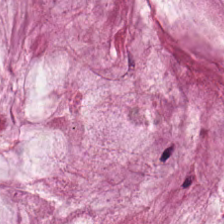H&E stain.
Q: What tissue is shown?
A: The field shows mucus.
